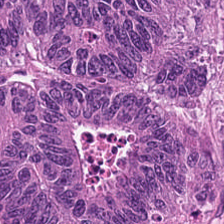WSI patch. Hematoxylin-and-eosin stained section — This field is adenocarcinoma.
